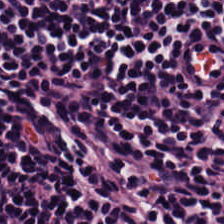H&E stain. The predominant tissue is lymphocytic infiltrate.
